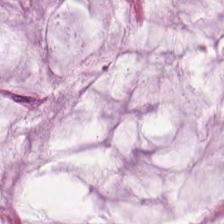224×224 px patch. H&E-stained tissue section.
Mucin.
